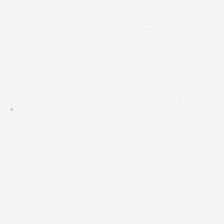Hematoxylin-and-eosin stained section; whole-slide-image patch. Finding → empty background.
